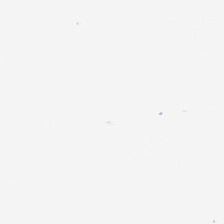H&E-stained tissue section — This patch shows empty background.
